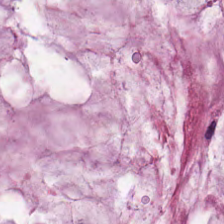Hematoxylin and eosin — Predominantly mucus.
